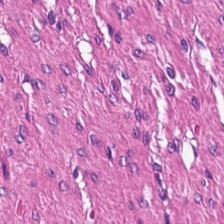Q: What type of tissue is this?
A: This is muscularis.
